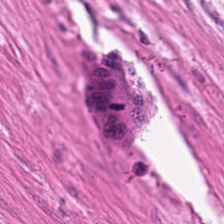Q: What type of tissue is this?
A: The field shows muscularis.
